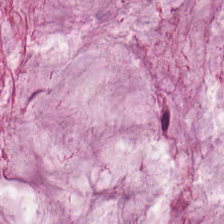Finding — mucus.
